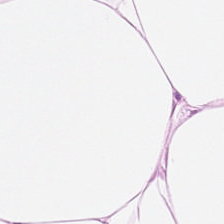Stain: hematoxylin-and-eosin stained section.
Resolution: 0.5 µm per pixel.
Tissue class: adipocytes.
